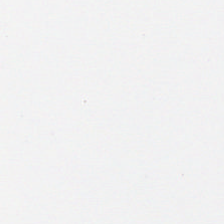This field is background (no tissue).
